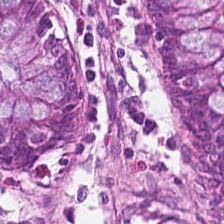Hematoxylin and eosin. Q: What tissue is shown?
A: It is non-neoplastic colon mucosa.
